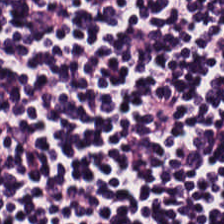224×224 px tile · H&E stain.
Q: What does this patch show?
A: Lymphoid infiltrate.
